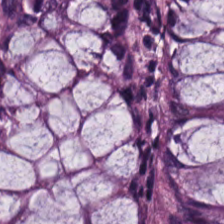H&E-stained tissue section.
Classification = normal colonic mucosa.
